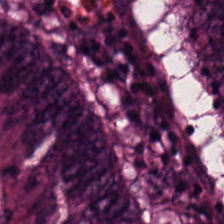H&E · 224×224 px tile — Predominantly tumor epithelium.
